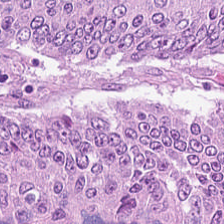H&E-stained tissue section.
Q: What is shown here?
A: Malignant epithelium.
